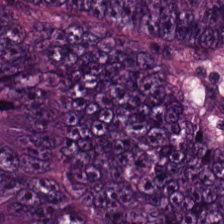Q: What is shown in this field?
A: This is adenocarcinoma.
